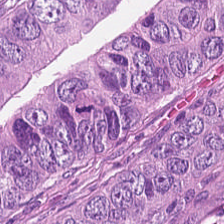Stain: hematoxylin-and-eosin stained section.
Preparation: formalin-fixed paraffin-embedded section.
Tissue class: colorectal adenocarcinoma epithelium.
